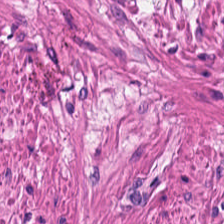H&E-stained tissue section.
This field is smooth-muscle tissue.
